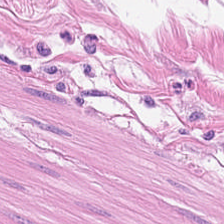Hematoxylin-and-eosin stained section. Q: What does this patch show?
A: The field shows muscularis.
